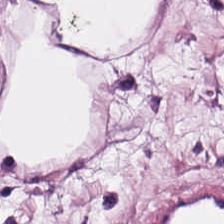H&E — This patch shows adipose tissue.
